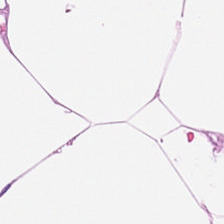Hematoxylin and eosin.
Histology → adipose tissue.
